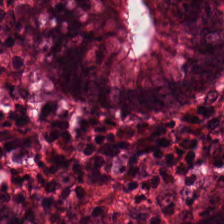0.5 microns per pixel. Brightfield. H&E-stained tissue section. Q: What does this patch show?
A: This is normal colonic mucosa.
